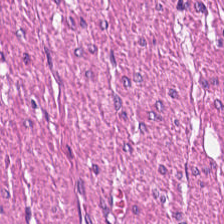H&E — muscularis.
